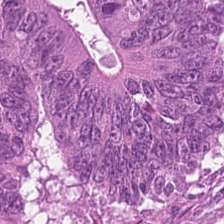H&E. Q: What is shown here?
A: The field shows malignant epithelium.
